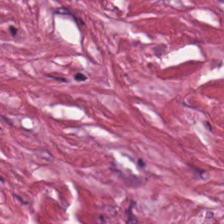H&E. Tissue type — tumor-associated stroma.
